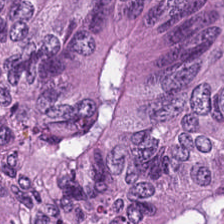Brightfield · hematoxylin-and-eosin stained section — Finding → tumor epithelium.
